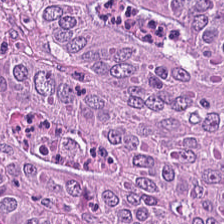H&E · 0.5 µm per pixel — Q: What is the predominant tissue type?
A: The field shows colorectal adenocarcinoma epithelium.
